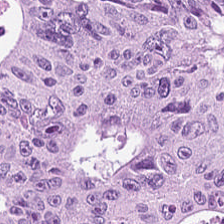H&E stain. FFPE. Brightfield microscopy.
Predominantly tumor epithelium.
